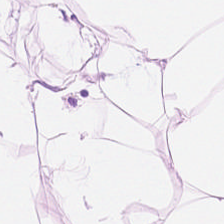Hematoxylin and eosin; 224×224 px patch. This patch shows adipose tissue.
